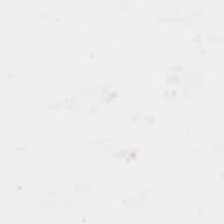Hematoxylin-and-eosin stained section.
Empty field — empty background.
